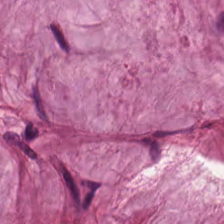224×224 px tile. Brightfield. H&E. Q: Classify this patch.
A: The field shows mucin.
